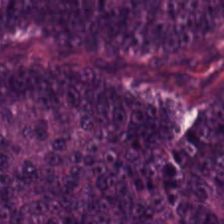H&E-stained tissue section. This field is colorectal adenocarcinoma.
